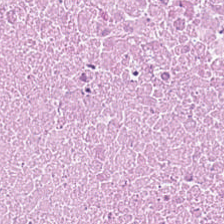Hematoxylin-and-eosin stained section.
Predominantly cellular debris.
